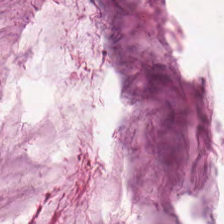Predominantly extracellular mucin.
